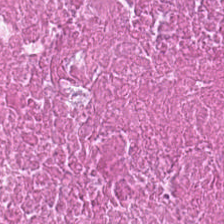224×224 px tile. H&E-stained tissue section. Showing cellular debris.
